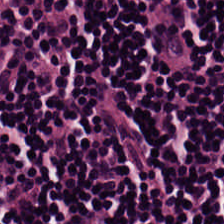{"tissue_type": "lymphocytic infiltrate"}
